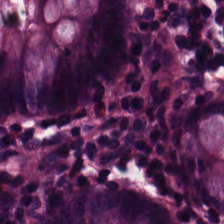H&E stain.
Q: What type of tissue is this?
A: This is non-neoplastic colon mucosa.
